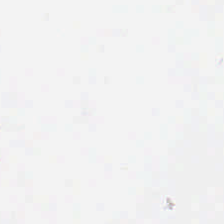Brightfield microscopy. H&E stain. Classification: background.
